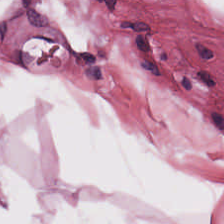224×224 pixel tile. H&E.
This patch shows fat tissue.
